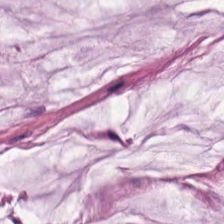Stain: H&E stain.
Tissue: extracellular mucin.
